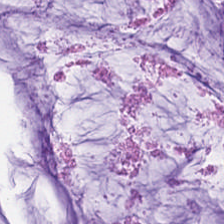0.5 microns per pixel. H&E. Tissue class — extracellular mucin.
